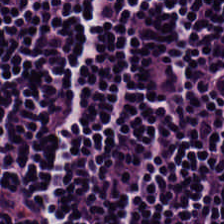Hematoxylin-and-eosin stained section. The classification is lymphocyte aggregate.
